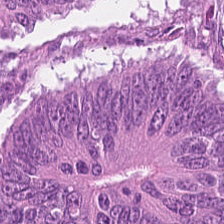H&E-stained tissue section showing colorectal adenocarcinoma.
